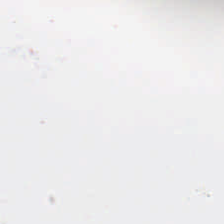H&E stain — {"content": "background (no tissue)"}
